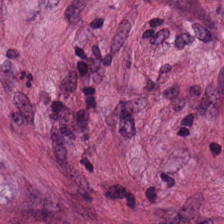The predominant tissue is cancer-associated stroma.
